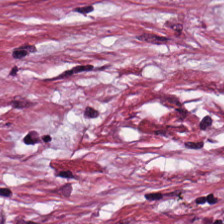Stain: hematoxylin and eosin.
Tile size: 224×224 pixel tile.
Tissue: desmoplastic stroma.
